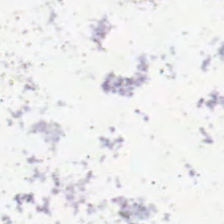Brightfield microscopy. Hematoxylin and eosin. 20× equivalent magnification. Histology — background.
